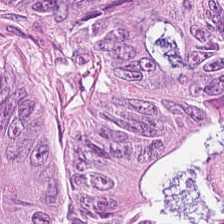The tissue is malignant epithelium.
